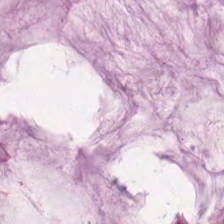Hematoxylin-and-eosin stained section; FFPE — Q: What is shown in this field?
A: This is extracellular mucin.
